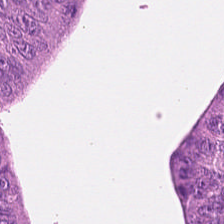H&E patch showing colorectal adenocarcinoma.
